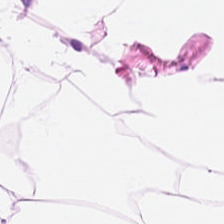224×224 px patch; hematoxylin and eosin. Q: What does this patch show?
A: Fat tissue.
